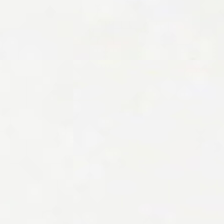H&E stain. No tissue present; background only.
